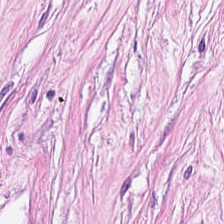224×224 px patch. Hematoxylin-and-eosin stained section. 0.5 µm per pixel — Q: Identify the tissue.
A: It is tumor-associated stroma.
